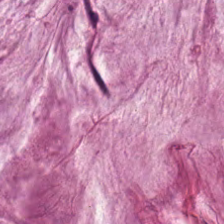H&E — Predominantly mucus.
